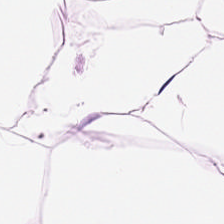H&E.
Showing fat tissue.
